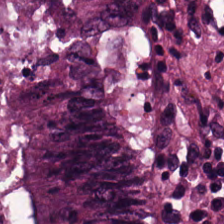H&E-stained tissue section. The tissue type is malignant epithelium.
